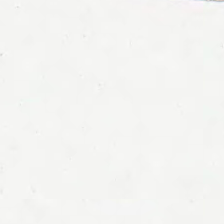H&E — Q: What is shown in this field?
A: It is no tissue.
